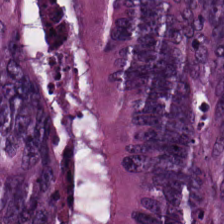Impression → adenocarcinoma.
